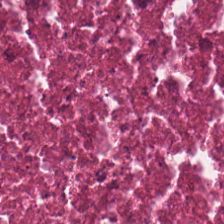Formalin-fixed paraffin-embedded section. Whole-slide-image patch. H&E. Tissue — necrotic debris.
